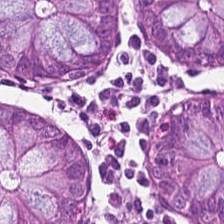H&E; 224×224 pixel tile.
Classification — non-neoplastic colon mucosa.
